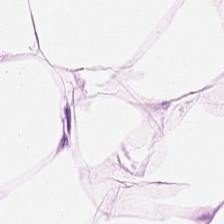Q: What type of tissue is this?
A: The field shows adipocytes.
